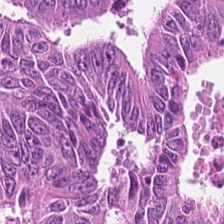Stain: hematoxylin-and-eosin stained section.
Tile size: 224×224 pixel tile.
Acquisition: brightfield microscopy.
Predominant tissue: colorectal adenocarcinoma epithelium.
